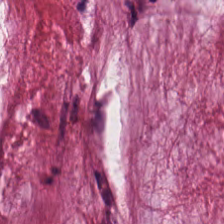Hematoxylin-and-eosin stained section. 224×224 px tile. Tissue type: mucin.
